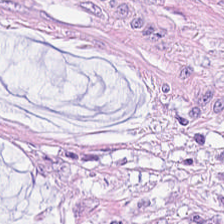H&E — extracellular mucin.
